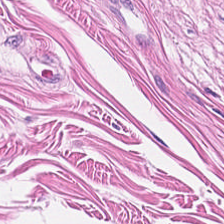Tissue type: smooth-muscle tissue.
